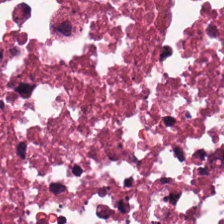Tissue type: cellular debris.
